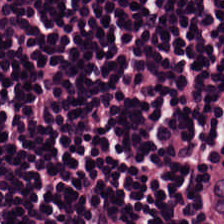{"tissue_type": "lymphocytic infiltrate"}
